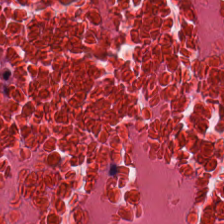The tissue here is necrotic debris.
